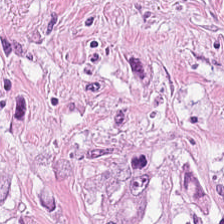Hematoxylin-and-eosin stained section.
Predominant tissue = desmoplastic stroma.
